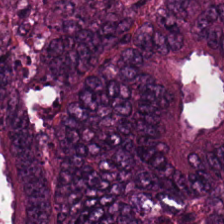Brightfield microscopy; H&E stain — Tissue class: colorectal adenocarcinoma.
